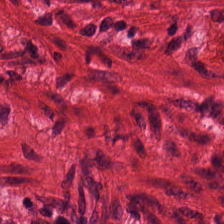Hematoxylin-and-eosin stained section.
Q: What type of tissue is this?
A: Muscularis.
